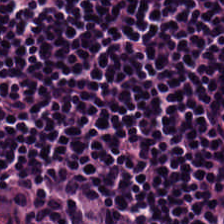Stain: H&E.
Preparation: FFPE.
Tissue type: lymphoid infiltrate.
